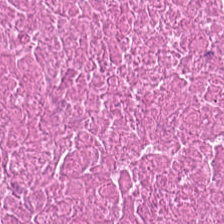H&E; 20× equivalent magnification — Q: What is shown in this field?
A: This is necrotic debris.
